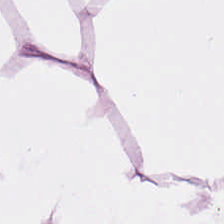H&E stain. {"tissue_type": "adipose"}
